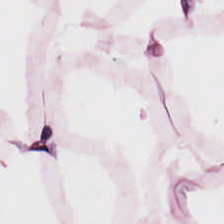H&E-stained tissue section showing adipocytes.
